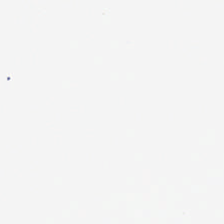Stain: hematoxylin and eosin.
Content: background.
